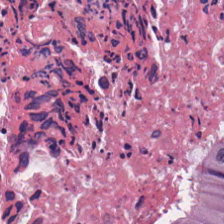{"tissue_type": "debris"}
